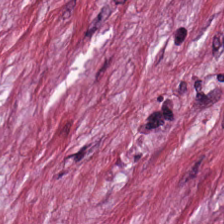H&E-stained tissue section — Histology → cancer-associated stroma.
